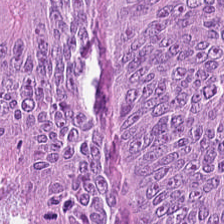Colorectal adenocarcinoma epithelium.
